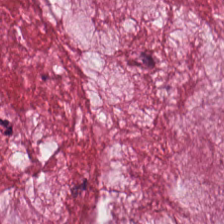Hematoxylin and eosin; 0.5 µm per pixel; brightfield. Showing mucus.
